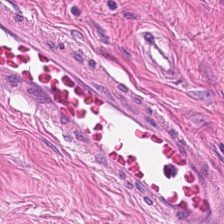H&E-stained tissue section. Predominant tissue — smooth muscle.
